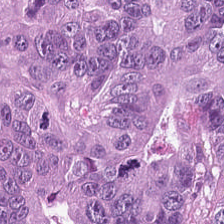H&E. Impression → malignant epithelium.
